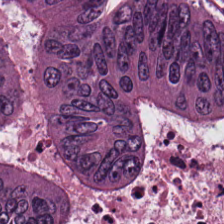Hematoxylin and eosin · brightfield. This field is colorectal adenocarcinoma.
